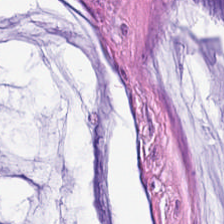Q: What tissue is shown?
A: This is extracellular mucin.
